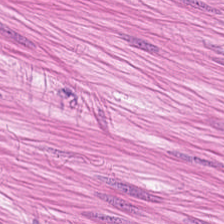Stain: H&E stain.
Tissue: muscularis.
